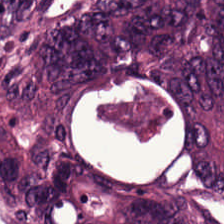H&E stain — Histology — tumor epithelium.
